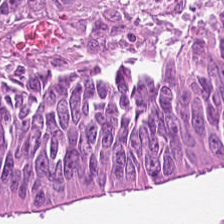H&E stain. Colorectal adenocarcinoma epithelium.
